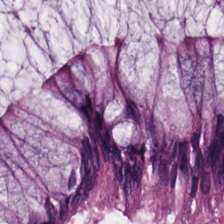Stain: H&E-stained tissue section.
Tissue type: benign colonic mucosa.
